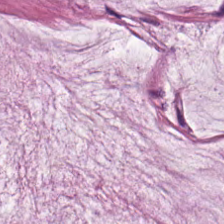H&E-stained tissue section. The predominant tissue is mucus.
